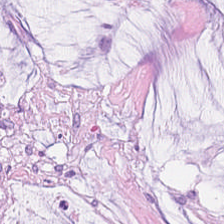{"tissue_type": "mucus"}
